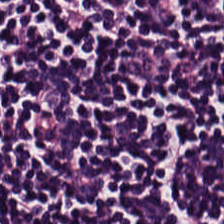20× equivalent magnification · hematoxylin and eosin. Q: What is shown here?
A: This is lymphocytic infiltrate.
